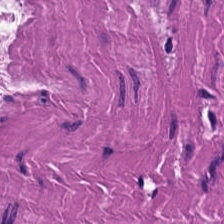Stain: hematoxylin and eosin.
Tissue type: smooth muscle.
